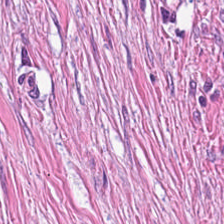H&E stain · formalin-fixed paraffin-embedded section — This patch shows desmoplastic stroma.
